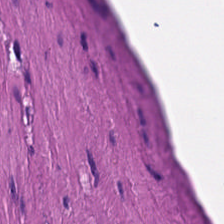H&E.
Tissue type — smooth-muscle tissue.
